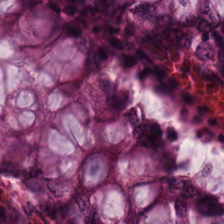{"tissue_type": "benign colonic mucosa"}
